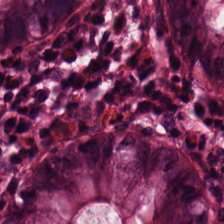H&E-stained tissue section. The tissue class is normal colon mucosa.
